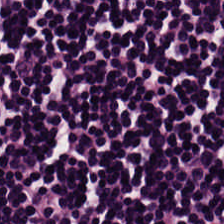Hematoxylin and eosin. Classification: lymphocyte aggregate.
